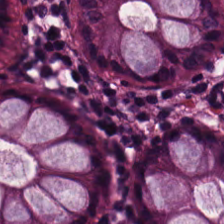H&E stain; 224×224 px tile; formalin-fixed paraffin-embedded section — Q: What is shown here?
A: Normal colonic mucosa.
